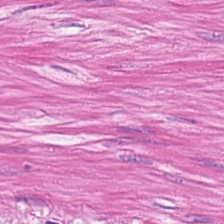H&E stain · 224×224 px patch — Tissue class: smooth muscle.
